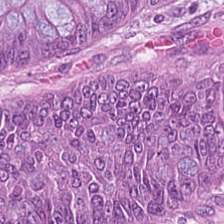H&E-stained tissue section — The predominant tissue is adenocarcinoma.
